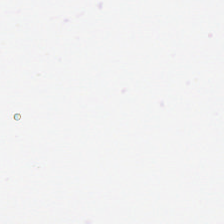Background — no tissue in this field.
